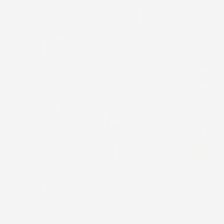Empty field — background.
